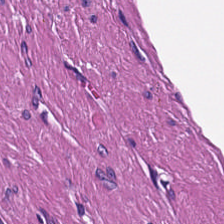Hematoxylin-and-eosin stained section; 224×224 pixel tile. Q: What tissue is shown?
A: The field shows smooth-muscle tissue.
